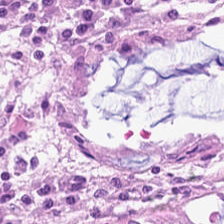Formalin-fixed paraffin-embedded section; hematoxylin and eosin. Showing benign colonic mucosa.
